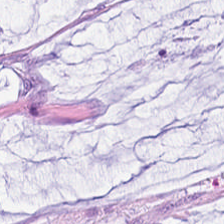Tissue type — extracellular mucin.
